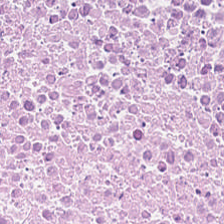Hematoxylin-and-eosin stained section. 224×224 pixel tile — The tissue class is cellular debris.
